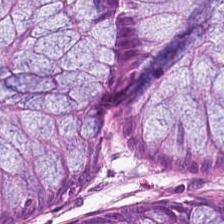0.5 µm/px · WSI patch · H&E.
Tissue type = non-neoplastic colon mucosa.
